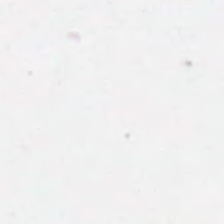{"content": "empty background"}
